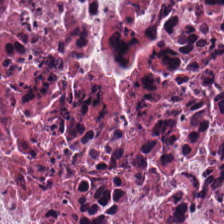H&E-stained tissue section. The tissue here is cellular debris.
